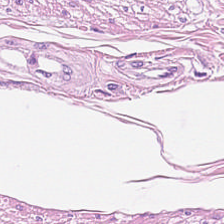This field is smooth-muscle tissue.
